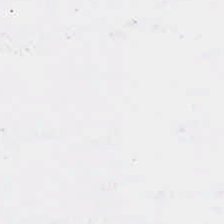Background — no tissue in this field.
